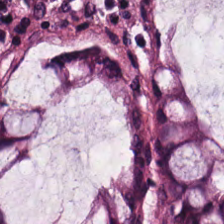Hematoxylin-and-eosin stained section · 224×224 px tile. Non-neoplastic colon mucosa.
